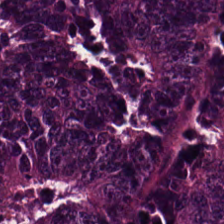{"tissue_type": "tumor epithelium"}
